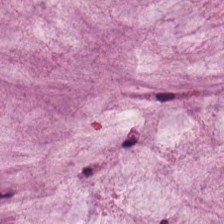20× equivalent magnification; H&E-stained tissue section.
Predominantly mucin.
